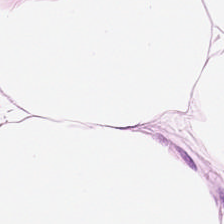Hematoxylin-and-eosin stained section — The tissue here is adipocytes.
